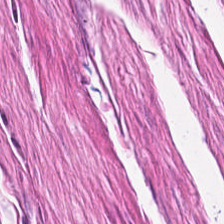Hematoxylin and eosin. WSI patch. The tissue here is smooth muscle.
